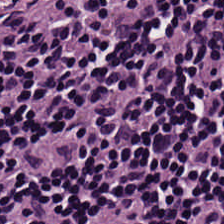Stain: H&E stain.
Tissue: lymphocyte aggregate.
